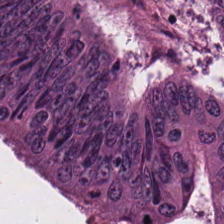H&E stain · 0.5 µm per pixel.
{"tissue_type": "malignant epithelium"}
